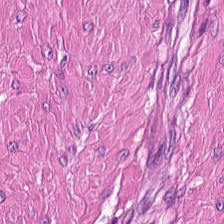Finding — smooth muscle.
